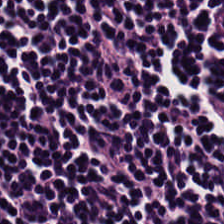H&E — lymphoid infiltrate.
